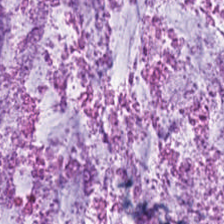This field is extracellular mucin.
